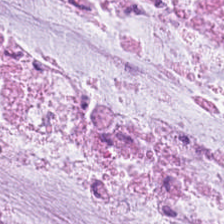H&E patch showing mucin.
